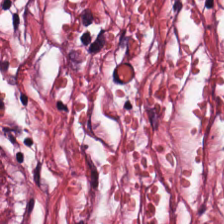FFPE. 224×224 pixel tile. Hematoxylin and eosin.
Q: What type of tissue is this?
A: This is cancer-associated stroma.
